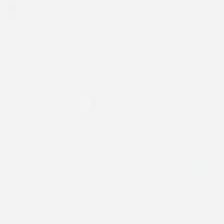FFPE. Hematoxylin-and-eosin stained section — Field content — empty background.
